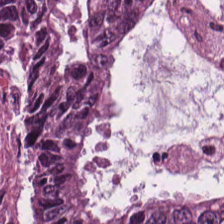0.5 µm per pixel. H&E.
Q: What is shown here?
A: It is colorectal adenocarcinoma epithelium.
